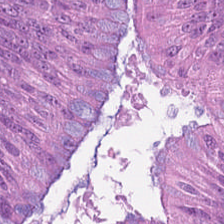Formalin-fixed paraffin-embedded section · 0.5 microns per pixel · H&E stain — The tissue here is colorectal adenocarcinoma epithelium.
